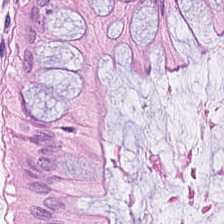This field is benign colonic mucosa.
